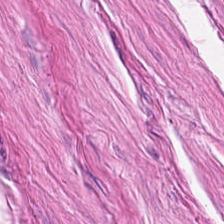H&E-stained tissue section. 224×224 pixel tile. 0.5 µm/px. Classification: smooth muscle.
